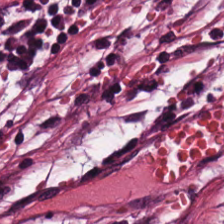Brightfield · hematoxylin and eosin · 224×224 px patch. The tissue here is cancer-associated stroma.
